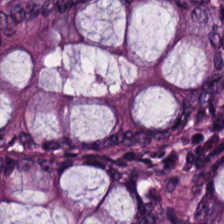H&E; 0.5 µm/px; 224×224 pixel tile. Showing normal colon mucosa.
